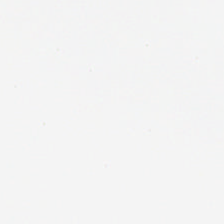H&E-stained tissue section; 0.5 µm/px; whole-slide-image patch — This patch shows empty background.
